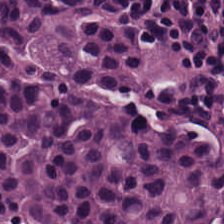Hematoxylin and eosin — Classification — lymphocyte aggregate.
